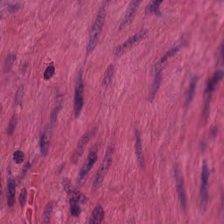H&E stain.
This patch shows muscularis.
